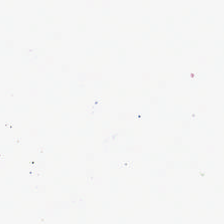Background (no tissue).
